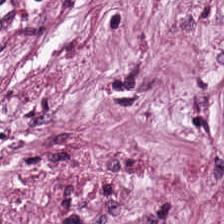Hematoxylin and eosin. FFPE tissue section.
The tissue here is cancer-associated stroma.
